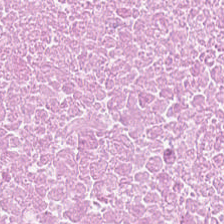224×224 pixel tile. H&E stain. Whole-slide-image patch — Predominantly debris.
